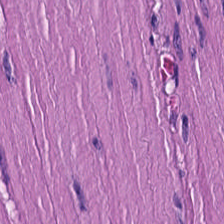Hematoxylin-and-eosin stained section.
{"tissue_type": "smooth-muscle tissue"}
